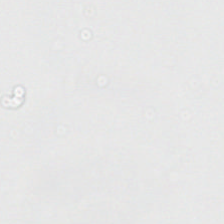Hematoxylin-and-eosin stained section. Background — no tissue in this field.
